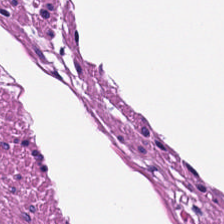Q: What does this patch show?
A: It is muscularis.
